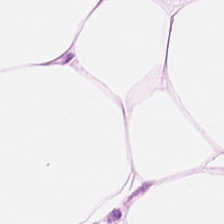H&E.
Predominant tissue: fat tissue.
